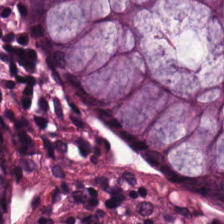224×224 pixel tile · H&E · WSI patch.
The classification is non-neoplastic colon mucosa.
